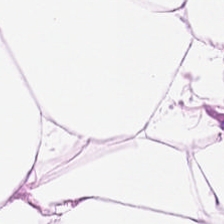H&E; 224×224 px tile; formalin-fixed paraffin-embedded section.
The tissue here is adipocytes.
